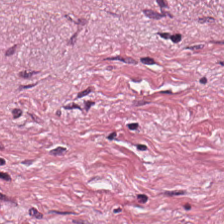Hematoxylin-and-eosin stained section. Predominant tissue — tumor stroma.
